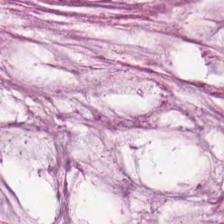FFPE tissue section; hematoxylin-and-eosin stained section. Q: What tissue type is shown here?
A: It is mucus.
